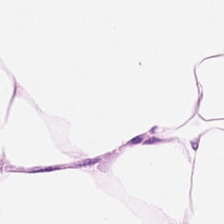Hematoxylin and eosin. Q: What tissue type is shown here?
A: This is adipocytes.
